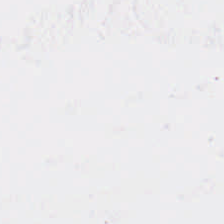FFPE tissue section. H&E stain.
Empty field — no tissue.
